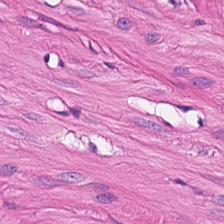H&E.
The predominant tissue is smooth-muscle tissue.
